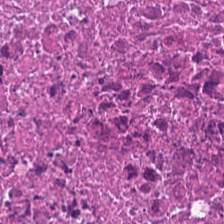Hematoxylin and eosin · brightfield microscopy · FFPE. Tissue type: cellular debris.
